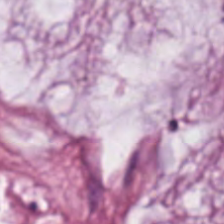Hematoxylin and eosin. Q: Classify this patch.
A: Mucus.
